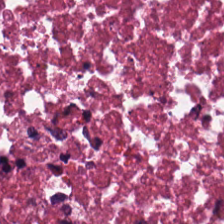H&E. Formalin-fixed paraffin-embedded section — Tissue class — necrotic debris.
